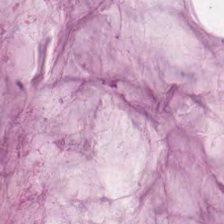Tissue type = extracellular mucin.
